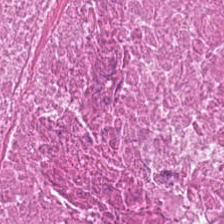Stain: hematoxylin and eosin.
Tissue class: cellular debris.
